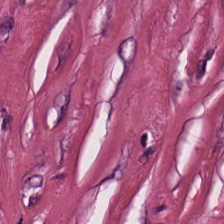H&E-stained tissue section; 224×224 px tile; FFPE tissue section.
Histology → tumor stroma.
